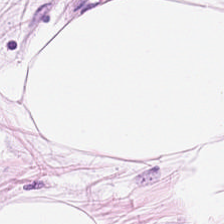FFPE · H&E.
Predominantly adipocytes.
